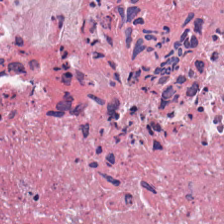Classification = debris.
